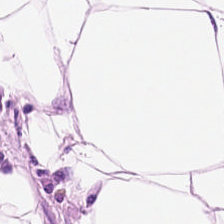Brightfield microscopy · H&E-stained tissue section — Q: What tissue is shown?
A: This is fat tissue.
